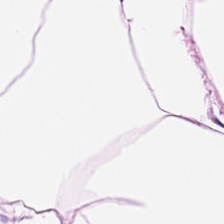H&E — Adipose tissue.
